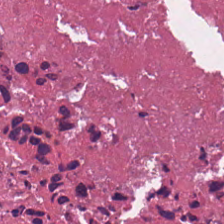Q: What does this patch show?
A: Debris.
